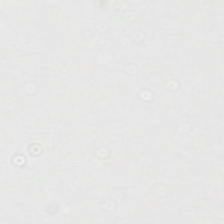H&E stain. Q: Classify this patch.
A: The field shows no tissue.
